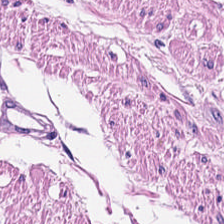Q: Identify the tissue.
A: Smooth-muscle tissue.
